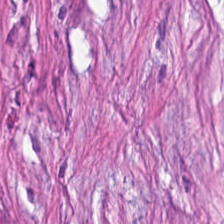H&E. The tissue type is cancer-associated stroma.
